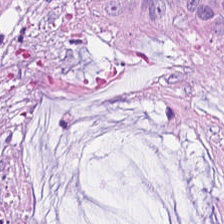224×224 px patch · 0.5 microns per pixel · H&E stain. The tissue is extracellular mucin.
